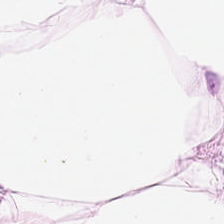H&E — fat tissue.
